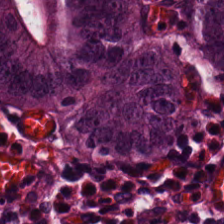H&E-stained tissue section — This patch shows tumor epithelium.
